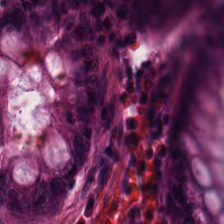Whole-slide-image patch · FFPE · H&E stain.
Histology → normal colon mucosa.
